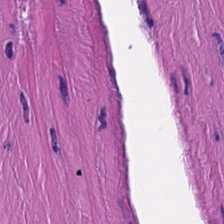Finding → smooth muscle.
